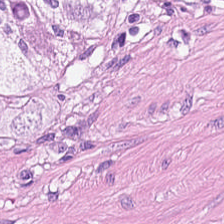Stain: hematoxylin-and-eosin stained section.
Tile size: 224×224 pixel tile.
Resolution: 20× equivalent magnification.
Classification: smooth-muscle tissue.
